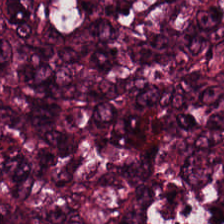0.5 µm per pixel. Formalin-fixed paraffin-embedded section. Hematoxylin and eosin. This patch shows tumor epithelium.
